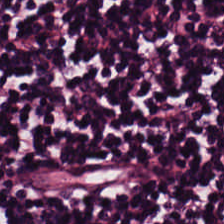Hematoxylin-and-eosin stained section. This field is lymphocytic infiltrate.
